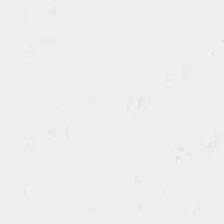Q: Classify this patch.
A: The field shows empty background.
